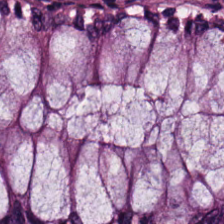0.5 microns per pixel. FFPE tissue section. H&E.
This patch shows benign colonic mucosa.
